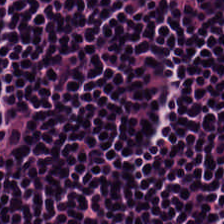This field is lymphocyte aggregate.
